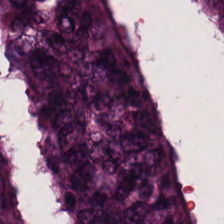Stain: H&E stain.
Tile size: 224×224 px patch.
Preparation: formalin-fixed paraffin-embedded section.
Predominant tissue: adenocarcinoma.
